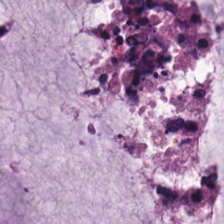Classification: mucus.
